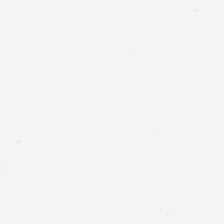Stain: H&E stain.
Content: background (no tissue).
